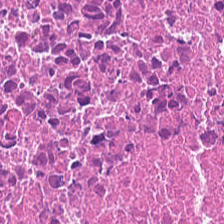The tissue here is necrotic debris.
